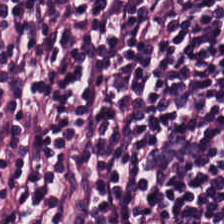Hematoxylin and eosin; formalin-fixed paraffin-embedded section — Predominantly lymphocyte aggregate.
